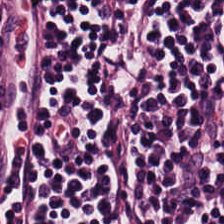H&E stain · formalin-fixed paraffin-embedded section — The predominant tissue is lymphocytes.
